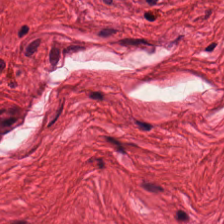Tissue class — smooth-muscle tissue.
